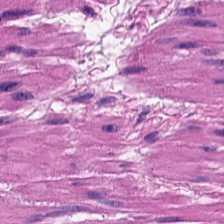H&E stain.
Q: What type of tissue is this?
A: This is smooth-muscle tissue.
